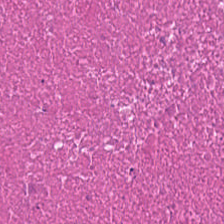Hematoxylin and eosin. 224×224 px patch. Formalin-fixed paraffin-embedded section — Tissue type: debris.
